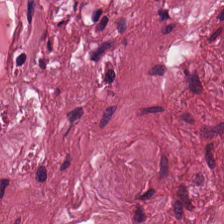Hematoxylin-and-eosin stained section · brightfield microscopy.
Q: Classify this patch.
A: The field shows cancer-associated stroma.
